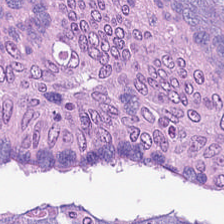Hematoxylin and eosin. Tissue type = malignant epithelium.
